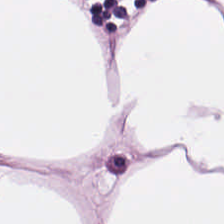Q: Classify this patch.
A: Adipose tissue.
